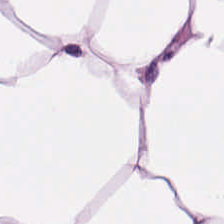H&E. Brightfield — This field is fat tissue.
